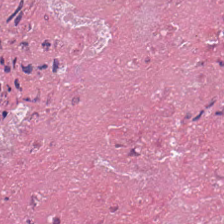H&E-stained tissue section.
Predominant tissue: debris.
